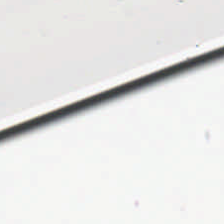H&E-stained tissue section — Background.
